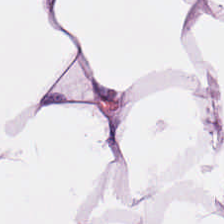224×224 px tile. Hematoxylin and eosin — Showing fat tissue.
